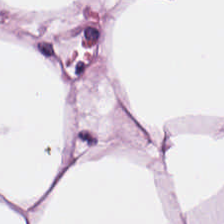H&E stain. This field is adipocytes.
